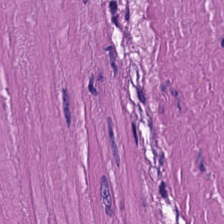Stain: H&E-stained tissue section.
Tile size: 224×224 pixel tile.
Tissue class: smooth-muscle tissue.
